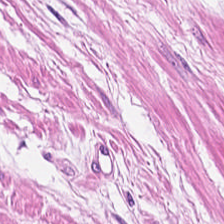224×224 px tile · 0.5 µm per pixel · hematoxylin-and-eosin stained section.
This field is smooth-muscle tissue.
